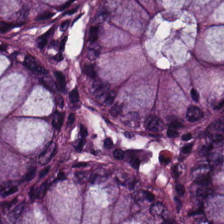H&E-stained tissue section — Normal colonic mucosa.
